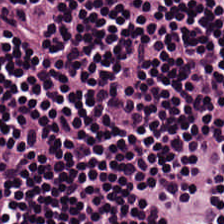H&E-stained tissue section — The tissue here is lymphoid infiltrate.
